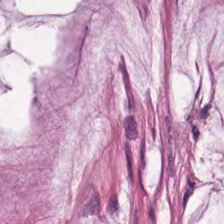Impression → extracellular mucin.
